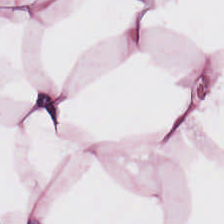H&E-stained tissue section. FFPE tissue section — Showing adipose.
